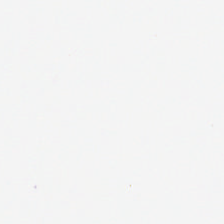Brightfield microscopy; H&E stain. This field is background (no tissue).
